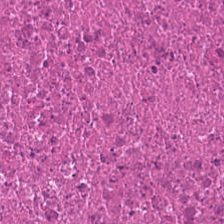The tissue here is necrotic debris.
